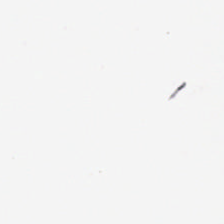Hematoxylin-and-eosin stained section. Q: What is shown here?
A: This is no tissue.
